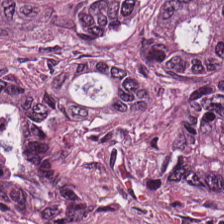Classification — colorectal adenocarcinoma epithelium.
